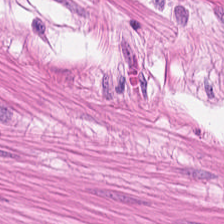Tissue — smooth-muscle tissue.
